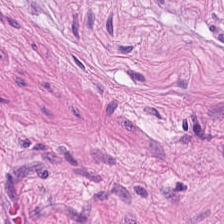The predominant tissue is muscularis.
